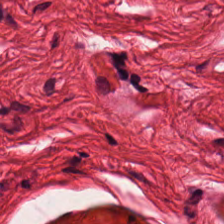H&E. The tissue class is smooth muscle.
